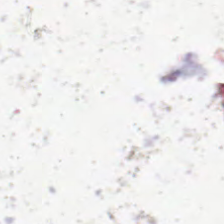Classification: empty background.
